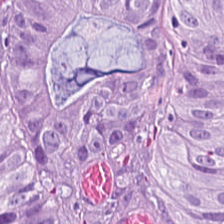Tissue class — tumor epithelium.
